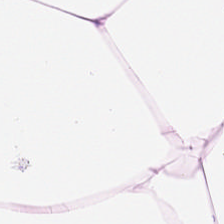H&E-stained tissue section showing adipose.
